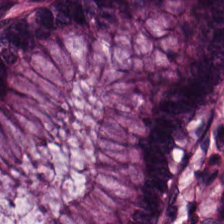Formalin-fixed paraffin-embedded section. 0.5 µm per pixel. H&E — Q: What is shown here?
A: Non-neoplastic colon mucosa.
